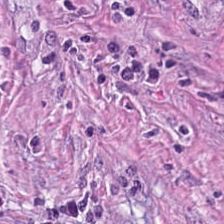Stain: H&E stain.
Tissue: desmoplastic stroma.
